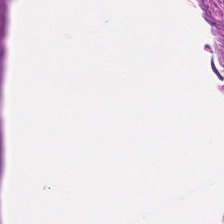H&E stain — {"tissue_type": "muscularis"}
